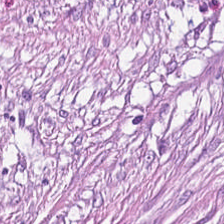H&E.
Predominantly desmoplastic stroma.
